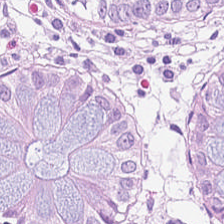H&E. Predominantly benign colonic mucosa.
